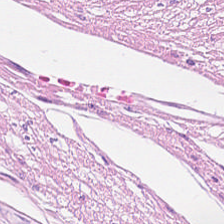Stain: H&E.
Classification: smooth muscle.
